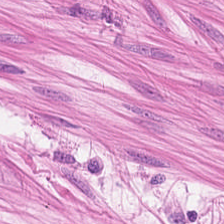Stain: hematoxylin and eosin.
Tile size: 224×224 pixel tile.
Preparation: FFPE.
Predominant tissue: muscularis.
